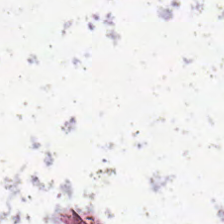Hematoxylin-and-eosin stained section · brightfield — No tissue present; background only.
